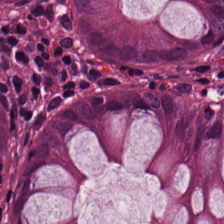Hematoxylin-and-eosin stained section.
Showing normal colon mucosa.
